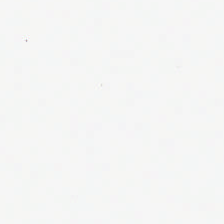H&E stain — Impression → background (no tissue).
